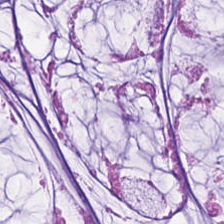224×224 px patch; brightfield microscopy; H&E. Tissue type: extracellular mucin.
